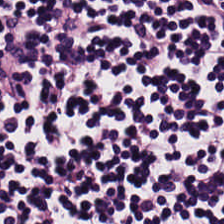Hematoxylin and eosin. Predominantly lymphocytic infiltrate.
